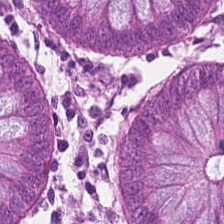Hematoxylin and eosin — This field is normal colon mucosa.
